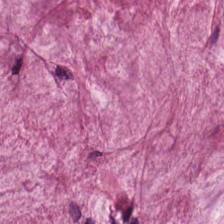Hematoxylin-and-eosin stained section · formalin-fixed paraffin-embedded section — Showing extracellular mucin.
